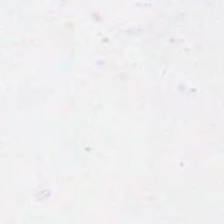H&E-stained tissue section. FFPE — Content: background (no tissue).
